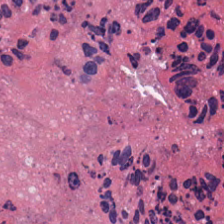Stain: H&E-stained tissue section.
Tissue: necrotic debris.
